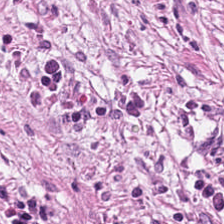H&E stain — Classification = tumor stroma.
